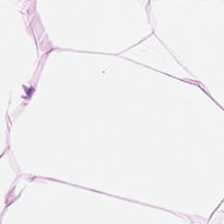224×224 px tile. H&E stain. WSI patch.
Adipocytes.
